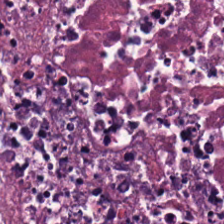Tissue type: cellular debris.
